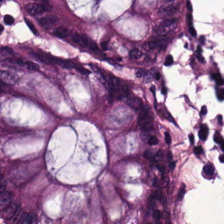Stain: hematoxylin and eosin.
Tissue class: normal colonic mucosa.
